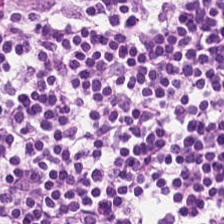Stain: hematoxylin and eosin.
Resolution: 0.5 µm/px.
Tissue class: lymphocytic infiltrate.
